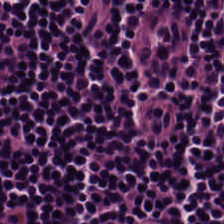H&E-stained tissue section.
Q: What does this patch show?
A: This is lymphoid infiltrate.
